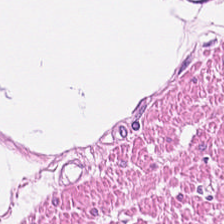224×224 px patch; H&E-stained tissue section; 0.5 µm per pixel. Smooth muscle.
